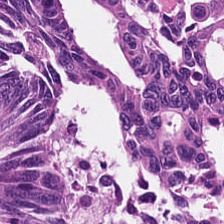Hematoxylin and eosin. Tissue = colorectal adenocarcinoma.
